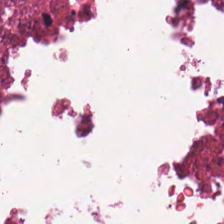WSI patch. H&E stain — Tissue class — cellular debris.
